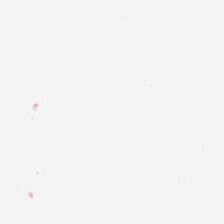FFPE · whole-slide-image patch · hematoxylin and eosin — Content: background (no tissue).
